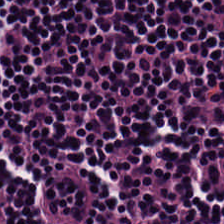Hematoxylin and eosin.
The predominant tissue is lymphocytic infiltrate.
